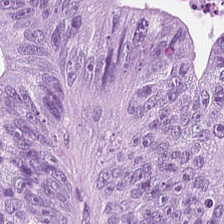H&E-stained tissue section — The classification is malignant epithelium.
